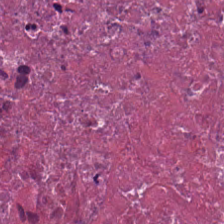Hematoxylin-and-eosin stained section. This patch shows debris.
